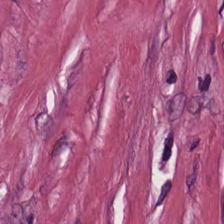224×224 pixel tile; hematoxylin and eosin; WSI patch. Q: What does this patch show?
A: The field shows tumor stroma.
